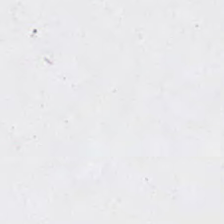Background — no tissue in this field.
